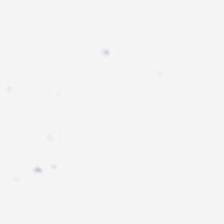224×224 px tile. Hematoxylin and eosin.
Field content = background (no tissue).
